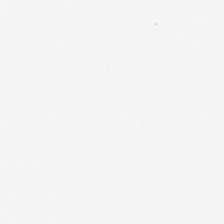Histology → background.
